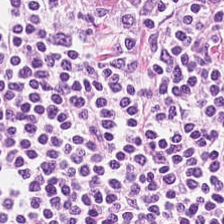0.5 µm per pixel. Hematoxylin and eosin. Classification — lymphoid infiltrate.
